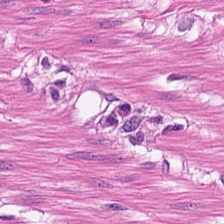H&E stain.
Showing smooth muscle.
